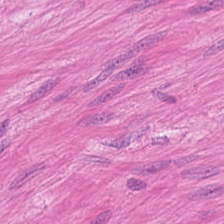Impression — muscularis.
